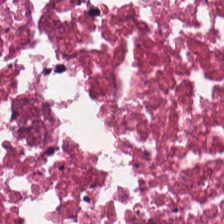FFPE tissue section; 224×224 pixel tile; hematoxylin and eosin. Necrotic debris.
